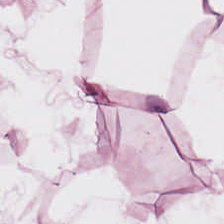Formalin-fixed paraffin-embedded section. H&E-stained tissue section. 0.5 µm/px — Predominantly adipose tissue.
